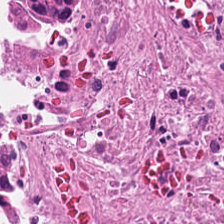Classification — debris.
